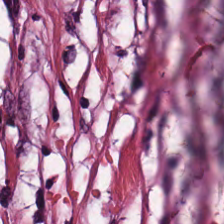H&E.
Q: What tissue is shown?
A: The field shows cancer-associated stroma.
